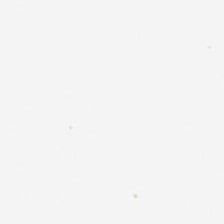0.5 µm per pixel · H&E-stained tissue section · whole-slide-image patch. Impression → no tissue.
